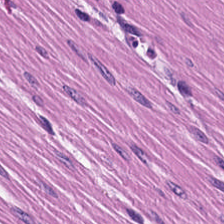H&E.
Tissue — smooth-muscle tissue.
